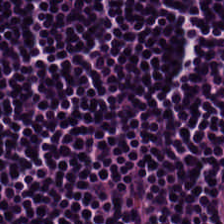Hematoxylin and eosin — The predominant tissue is lymphocyte aggregate.
